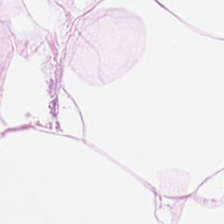H&E.
Fat tissue.
